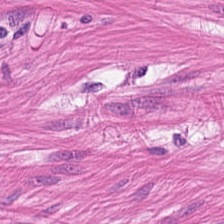Hematoxylin-and-eosin stained section.
Smooth-muscle tissue.
